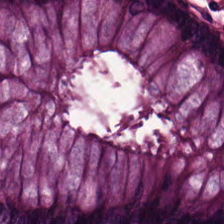Hematoxylin and eosin.
The predominant tissue is non-neoplastic colon mucosa.
